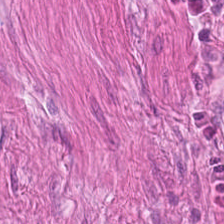H&E — This patch shows smooth-muscle tissue.
